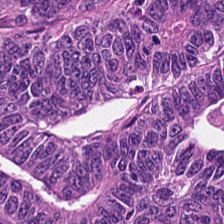Stain: H&E.
Tissue class: malignant epithelium.
